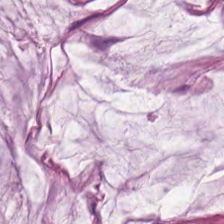Tissue: mucin.
